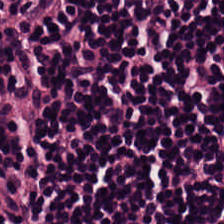Showing lymphocytes.
